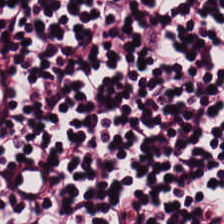The predominant tissue is lymphoid infiltrate.
